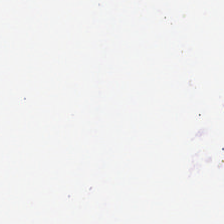H&E-stained tissue section. Q: What is shown here?
A: It is background (no tissue).
